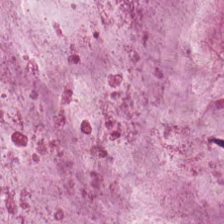Stain: H&E.
Classification: extracellular mucin.
